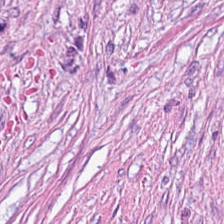0.5 microns per pixel. H&E stain. Tissue type: cancer-associated stroma.
